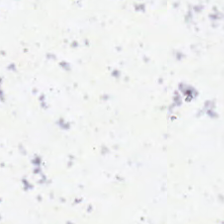Hematoxylin and eosin — No tissue present; background only.
